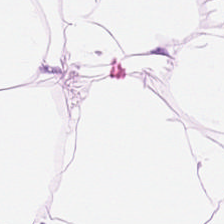H&E-stained tissue section — The tissue here is adipocytes.
